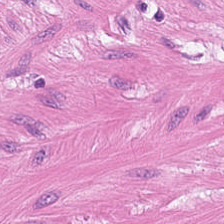Hematoxylin and eosin. This field is muscularis.
